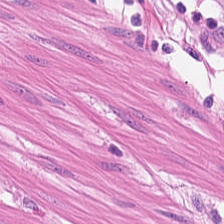0.5 microns per pixel. H&E stain — Finding — smooth muscle.
